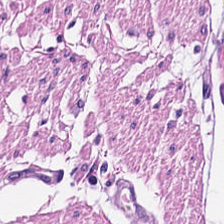0.5 microns per pixel. H&E — This field is smooth muscle.
